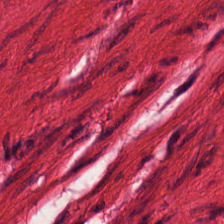Hematoxylin-and-eosin stained section. Predominant tissue = smooth-muscle tissue.
